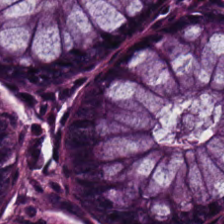H&E stain — Showing normal colon mucosa.
